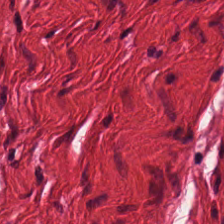Hematoxylin-and-eosin stained section; 224×224 pixel tile.
This field is smooth-muscle tissue.
